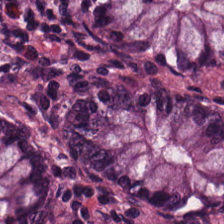H&E stain — {"tissue_type": "benign colonic mucosa"}
